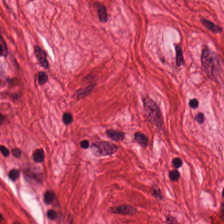H&E-stained tissue section. The classification is muscularis.
